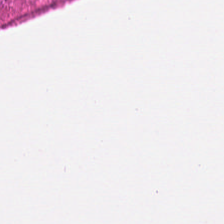H&E.
The classification is muscularis.
